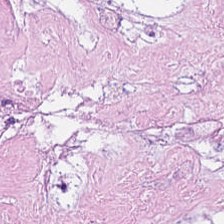FFPE tissue section. H&E stain — This patch shows cellular debris.
